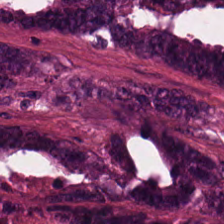Hematoxylin and eosin. The tissue here is colorectal adenocarcinoma.
